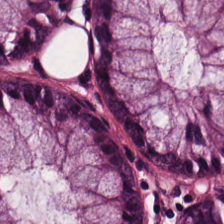Q: What tissue is shown?
A: This is normal colonic mucosa.
